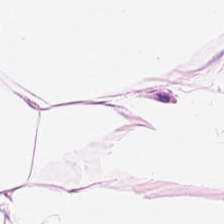Hematoxylin-and-eosin stained section.
{"tissue_type": "adipose tissue"}
